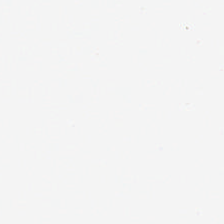H&E stain — Background — no tissue in this field.
